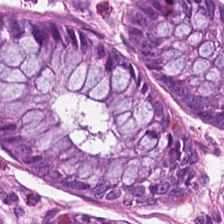Non-neoplastic colon mucosa.
